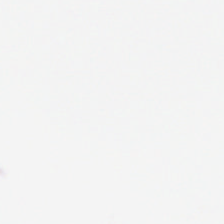Content — background.
